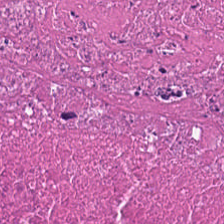H&E-stained section; the field shows debris.
